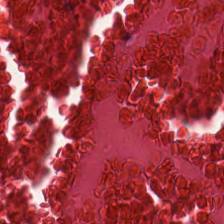This field is cellular debris.
